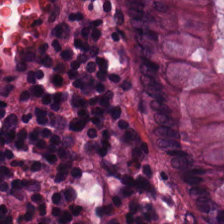This patch shows non-neoplastic colon mucosa.
